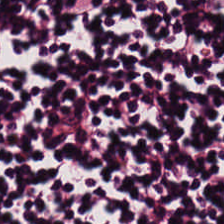H&E stain.
Finding → lymphoid infiltrate.
